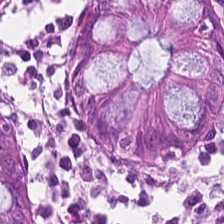Hematoxylin-and-eosin stained section; whole-slide-image patch. This field is non-neoplastic colon mucosa.
